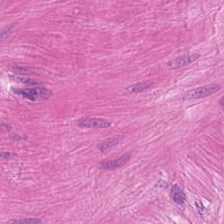H&E stain.
This field is smooth muscle.
